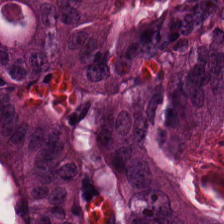Brightfield microscopy. Hematoxylin-and-eosin stained section.
Q: Identify the tissue.
A: It is colorectal adenocarcinoma epithelium.
